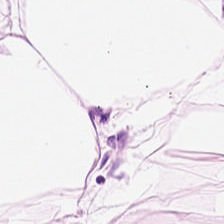H&E stain. This patch shows adipose.
